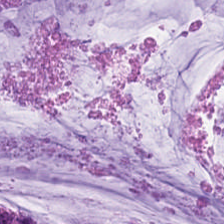H&E patch showing mucin.
